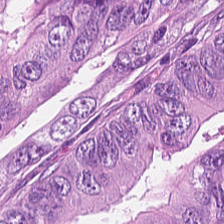H&E-stained tissue section — Q: Identify the tissue.
A: This is tumor epithelium.
